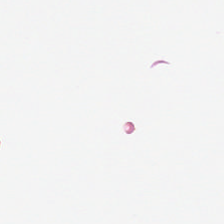Hematoxylin-and-eosin stained section — Empty field — background (no tissue).
